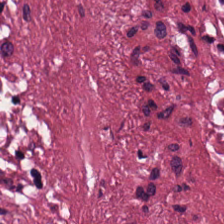H&E stain — Predominantly cancer-associated stroma.
